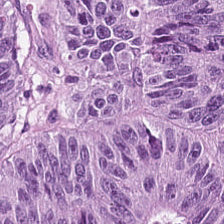H&E-stained tissue section. The predominant tissue is colorectal adenocarcinoma epithelium.
